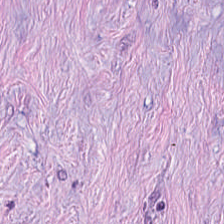This field is tumor stroma.
